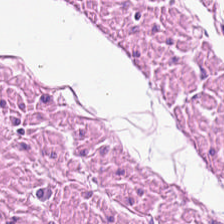20× equivalent magnification · hematoxylin-and-eosin stained section. The tissue here is smooth muscle.
